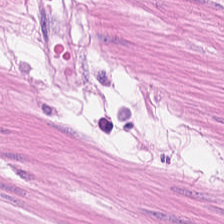Histology — smooth-muscle tissue.
